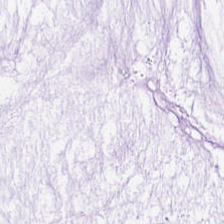Q: What does this patch show?
A: It is mucus.
